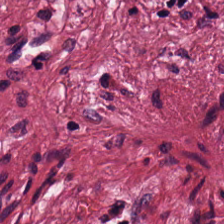Hematoxylin and eosin. Whole-slide-image patch. The predominant tissue is tumor stroma.
